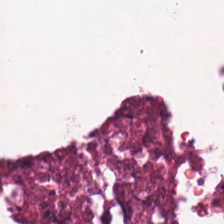Hematoxylin and eosin.
Impression — cellular debris.
